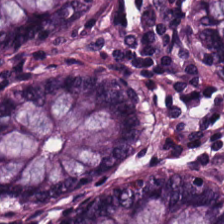Hematoxylin and eosin. Tissue — normal colonic mucosa.
